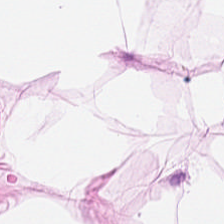H&E.
Adipocytes.
